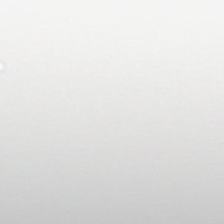Stain: hematoxylin-and-eosin stained section.
Content: empty background.
